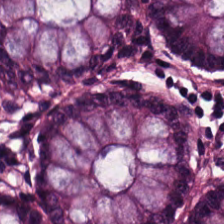Hematoxylin-and-eosin stained section; FFPE — Tissue class = non-neoplastic colon mucosa.
